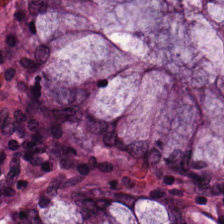Benign colonic mucosa.
